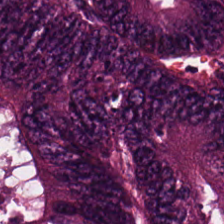H&E. This field is colorectal adenocarcinoma.
